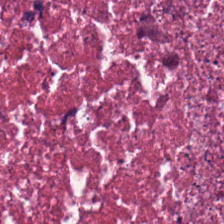Predominant tissue: cellular debris.
